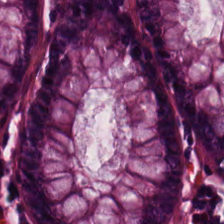The tissue is normal colon mucosa.
